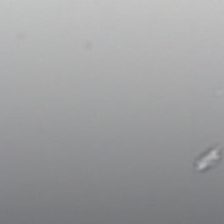Stain: H&E.
Field content: background (no tissue).
